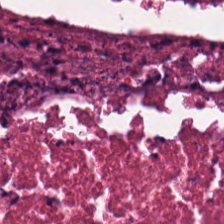H&E. 0.5 µm/px — {"tissue_type": "necrotic debris"}
